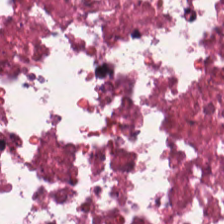Hematoxylin and eosin.
Finding → debris.
